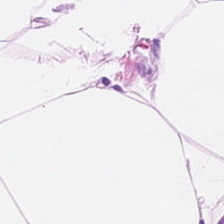Hematoxylin and eosin. The classification is adipose.
